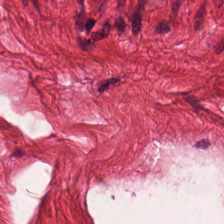Hematoxylin and eosin · 0.5 µm/px · 224×224 px tile.
Impression — smooth-muscle tissue.
